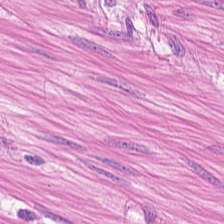0.5 microns per pixel · H&E-stained tissue section — Predominant tissue — smooth muscle.
